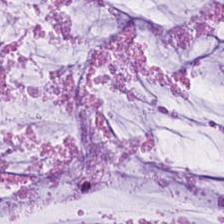H&E-stained tissue section.
Tissue class — extracellular mucin.
